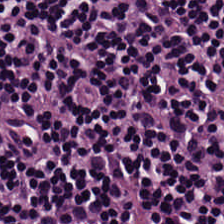Stain: H&E stain.
Predominant tissue: lymphocytes.
